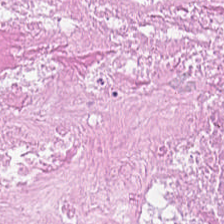Hematoxylin-and-eosin stained section — The tissue here is cellular debris.
